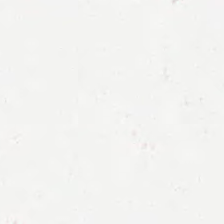Stain: H&E.
Content: background.
